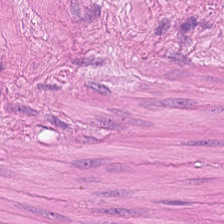H&E-stained tissue section.
Muscularis.
